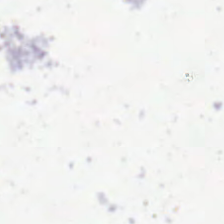H&E stain. This patch shows background.
